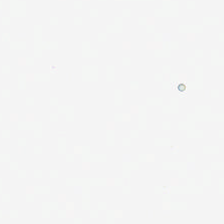H&E-stained tissue section. No tissue.
